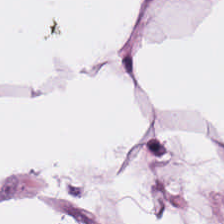Hematoxylin and eosin; 224×224 px tile.
Fat tissue.
